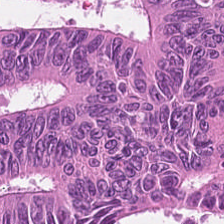H&E; 224×224 px patch; FFPE tissue section. Adenocarcinoma.
